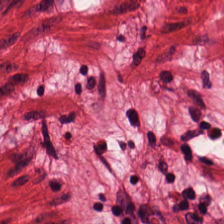0.5 µm per pixel; H&E stain. Impression → smooth-muscle tissue.
